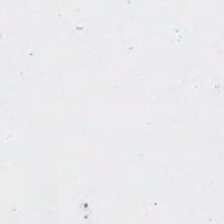Stain: H&E.
Classification: empty background.
